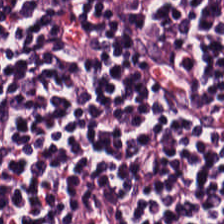H&E stain. 224×224 px tile. Brightfield. This field is lymphocytes.
